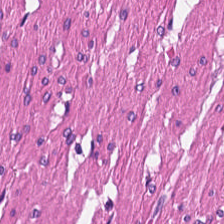224×224 px patch. H&E. Formalin-fixed paraffin-embedded section — This field is muscularis.
